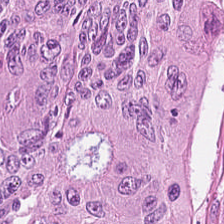224×224 pixel tile; hematoxylin and eosin.
Classification — adenocarcinoma.
